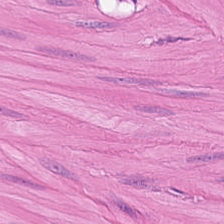H&E stain · 224×224 pixel tile. Histology — smooth muscle.
